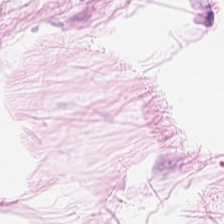The classification is adipose tissue.
